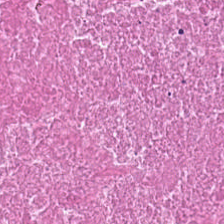Hematoxylin-and-eosin stained section — The tissue class is debris.
